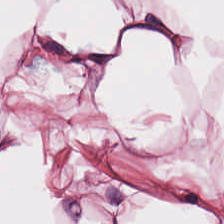WSI patch; H&E-stained tissue section. This field is adipocytes.
